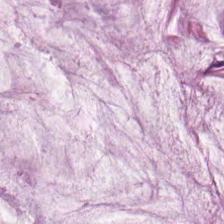224×224 pixel tile. 0.5 µm/px. Hematoxylin and eosin — The tissue here is extracellular mucin.
